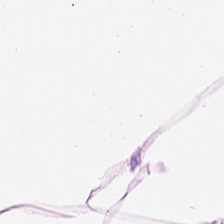Hematoxylin-and-eosin stained section. FFPE. 20× equivalent magnification.
Adipose tissue.
